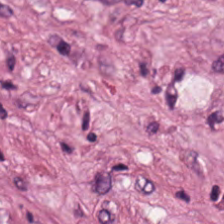FFPE. Hematoxylin-and-eosin stained section.
The predominant tissue is tumor stroma.
